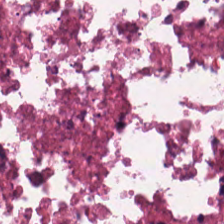Showing debris.
